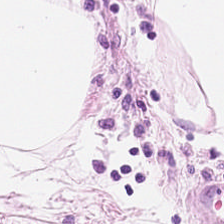{"tissue_type": "adipose"}
